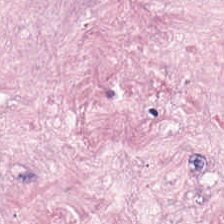224×224 px patch · H&E-stained tissue section. Q: Classify this patch.
A: This is desmoplastic stroma.
